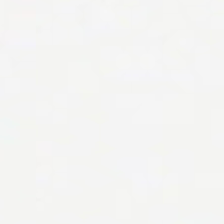H&E — This patch shows background (no tissue).
